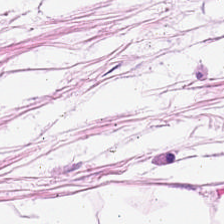H&E-stained tissue section. The predominant tissue is adipocytes.
